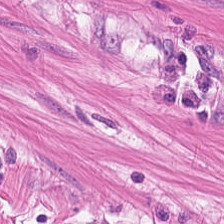H&E-stained tissue section — {"tissue_type": "muscularis"}
